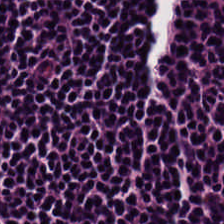This field is lymphoid infiltrate.
